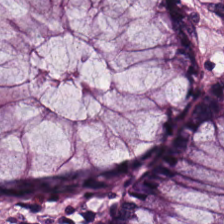H&E-stained section; the field shows benign colonic mucosa.
